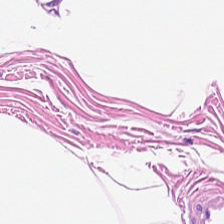{"tissue_type": "fat tissue"}
